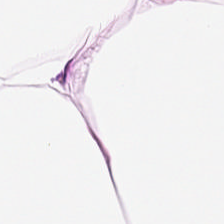Stain: hematoxylin-and-eosin stained section.
Preparation: FFPE tissue section.
Tissue: adipose.
